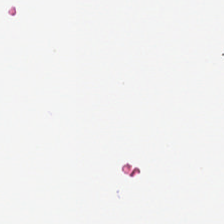{"content": "background (no tissue)"}
